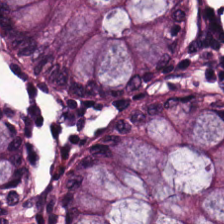Stain: H&E.
Tissue type: benign colonic mucosa.
